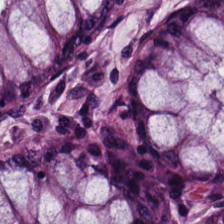0.5 µm per pixel · H&E stain · formalin-fixed paraffin-embedded section. Tissue class = benign colonic mucosa.
